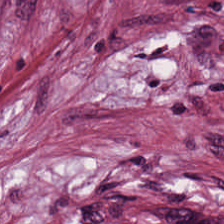Hematoxylin and eosin — Tissue — tumor-associated stroma.
